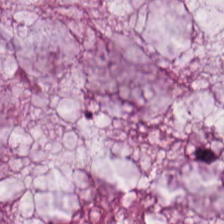224×224 pixel tile; H&E-stained tissue section — Predominantly mucus.
